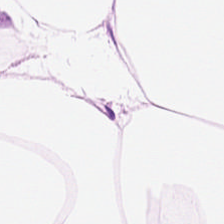H&E-stained tissue section.
Finding → fat tissue.
